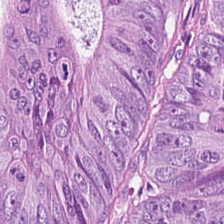Hematoxylin and eosin — Q: What is shown in this field?
A: It is tumor epithelium.
